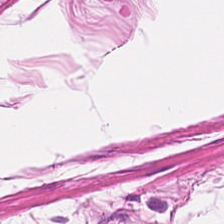H&E. FFPE tissue section.
This field is smooth-muscle tissue.
